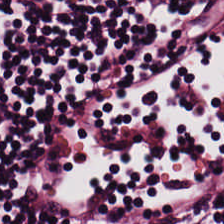FFPE tissue section. H&E-stained tissue section. 0.5 µm/px — Tissue = lymphocyte aggregate.
